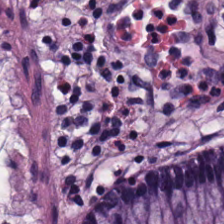FFPE. Hematoxylin-and-eosin stained section — Q: What tissue type is shown here?
A: Non-neoplastic colon mucosa.
